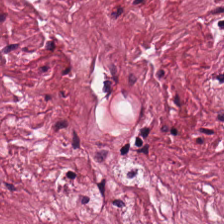Stain: H&E stain.
Tissue: tumor stroma.
